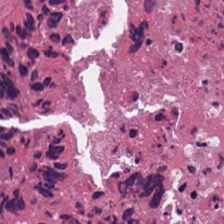H&E stain. Tissue type = cellular debris.
